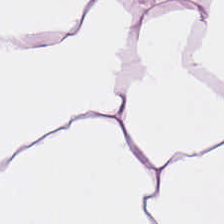Hematoxylin-and-eosin stained section. Q: What type of tissue is this?
A: The field shows adipose tissue.
